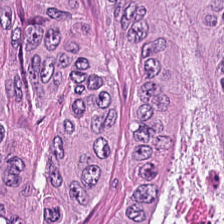Hematoxylin-and-eosin stained section.
Predominant tissue = malignant epithelium.
